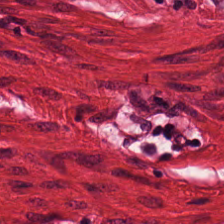224×224 px patch; H&E-stained tissue section. Predominant tissue = smooth-muscle tissue.
